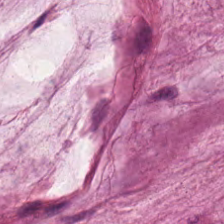Hematoxylin and eosin — Q: What is shown in this field?
A: Mucus.
